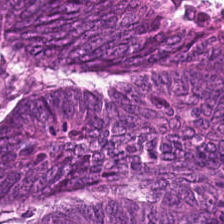H&E stain. The tissue is colorectal adenocarcinoma epithelium.
